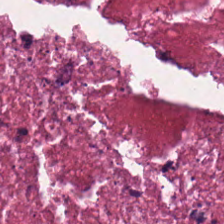The tissue is cellular debris.
